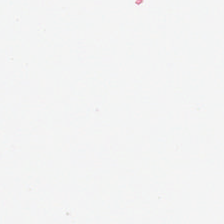Hematoxylin-and-eosin stained section — Classification: no tissue.
